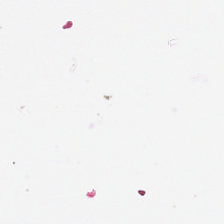FFPE tissue section · H&E · 224×224 pixel tile. This field is background (no tissue).
